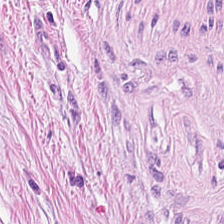Q: What type of tissue is this?
A: It is cancer-associated stroma.
